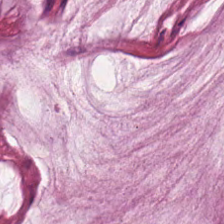Hematoxylin-and-eosin stained section — Mucus.
